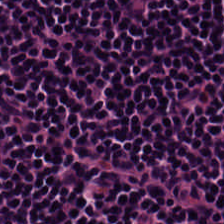H&E-stained tissue section; formalin-fixed paraffin-embedded section.
Showing lymphocyte aggregate.
